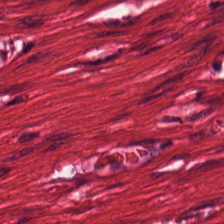The tissue is smooth muscle.
